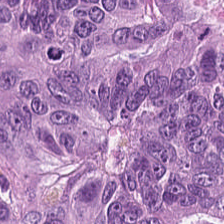FFPE · hematoxylin and eosin. Predominantly adenocarcinoma.
